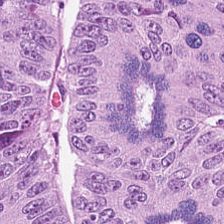Hematoxylin-and-eosin stained section. Brightfield. Impression → colorectal adenocarcinoma epithelium.
